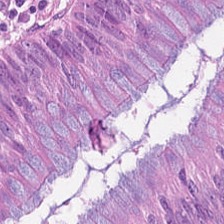Tissue: colorectal adenocarcinoma.
